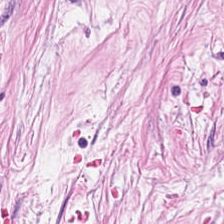H&E.
Classification — desmoplastic stroma.
